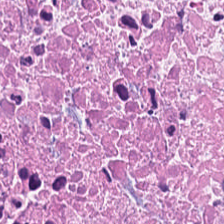H&E · WSI patch · 224×224 px patch — This field is necrotic debris.
